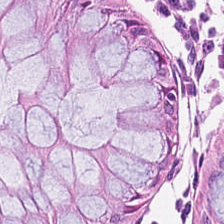H&E-stained tissue section — Predominant tissue: normal colonic mucosa.
